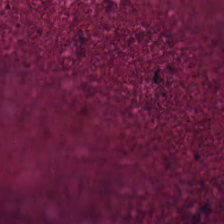Stain: hematoxylin-and-eosin stained section.
Tissue class: cellular debris.
